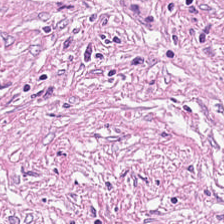Hematoxylin-and-eosin stained section. 224×224 px tile. 20× equivalent magnification. Classification: desmoplastic stroma.
